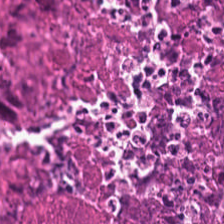H&E stain — Q: What type of tissue is this?
A: It is necrotic debris.
